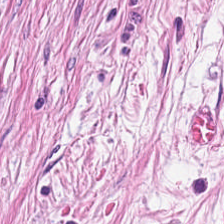0.5 µm/px; hematoxylin and eosin — Classification = cancer-associated stroma.
